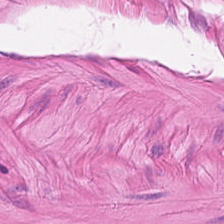H&E-stained tissue section; 224×224 px tile. Histology → muscularis.
